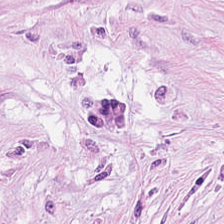0.5 µm/px · hematoxylin-and-eosin stained section.
This field is tumor-associated stroma.
